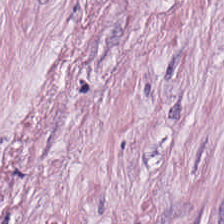Stain: H&E-stained tissue section.
Tissue class: tumor stroma.
